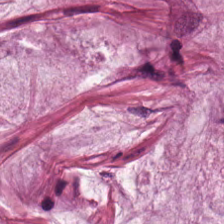H&E — Classification = mucin.
